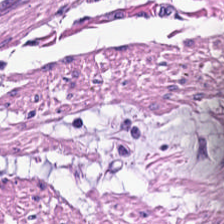Hematoxylin and eosin; FFPE tissue section; 224×224 px patch.
Predominantly smooth muscle.
